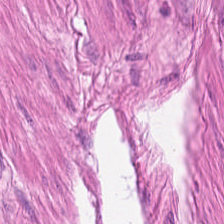Hematoxylin-and-eosin stained section; WSI patch. Predominantly smooth muscle.
